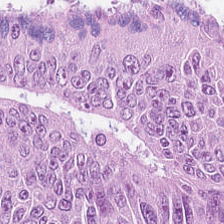Stain: hematoxylin-and-eosin stained section.
Resolution: 20× equivalent magnification.
Tissue: malignant epithelium.
